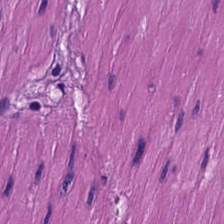Hematoxylin-and-eosin stained section — Smooth muscle.
